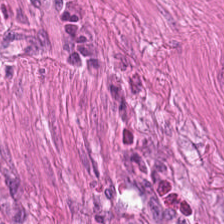FFPE tissue section · H&E.
Q: What is shown in this field?
A: This is smooth-muscle tissue.
